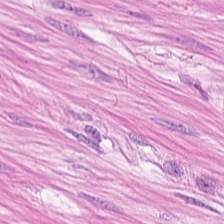WSI patch; 0.5 microns per pixel; H&E-stained tissue section — Histology → smooth muscle.
